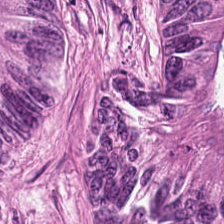224×224 px tile · H&E.
The tissue here is tumor epithelium.
